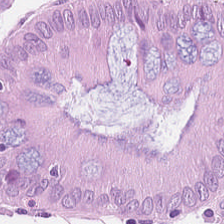Hematoxylin-and-eosin stained section. The classification is non-neoplastic colon mucosa.
